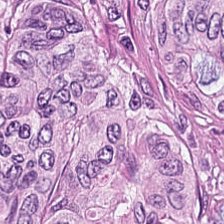Hematoxylin-and-eosin stained section. 224×224 px tile — Q: What type of tissue is this?
A: This is malignant epithelium.
